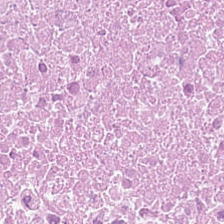H&E stain.
Debris.
